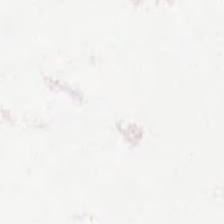Hematoxylin and eosin.
Background — no tissue in this field.
